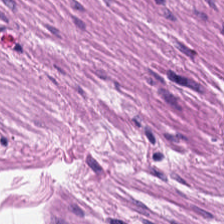Brightfield. 0.5 microns per pixel. H&E stain. Smooth-muscle tissue.
